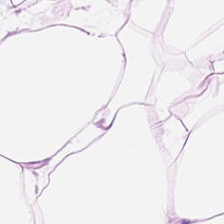224×224 px patch · FFPE tissue section · hematoxylin and eosin.
Showing adipose tissue.
